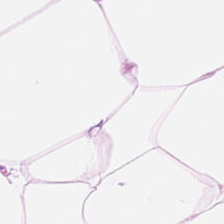Hematoxylin and eosin · FFPE · 0.5 µm/px. {"tissue_type": "adipose"}
